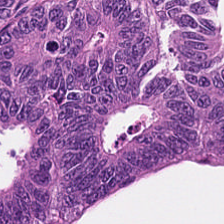H&E — colorectal adenocarcinoma.
